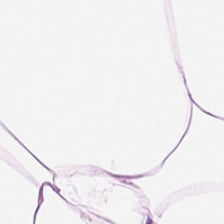H&E stain.
Predominant tissue = adipose tissue.
